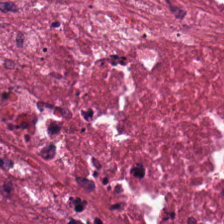Hematoxylin-and-eosin section: necrotic debris.
